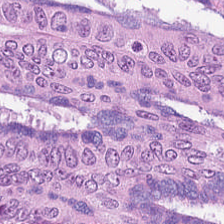Hematoxylin and eosin.
{"tissue_type": "colorectal adenocarcinoma"}
